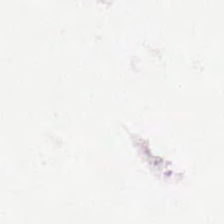224×224 px tile · hematoxylin and eosin · formalin-fixed paraffin-embedded section — {"content": "background"}
